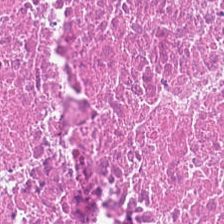Q: What tissue type is shown here?
A: The field shows necrotic debris.
